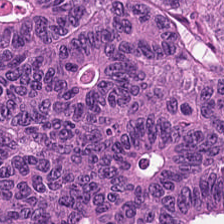H&E-stained tissue section — Q: What is the predominant tissue type?
A: It is malignant epithelium.
